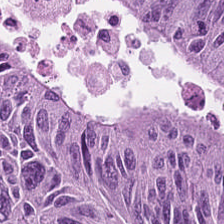Q: Identify the tissue.
A: This is colorectal adenocarcinoma epithelium.
